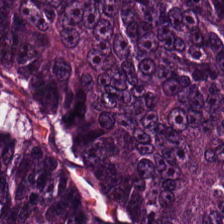H&E stain. This patch shows adenocarcinoma.
